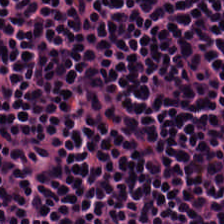H&E stain.
Tissue = lymphocytic infiltrate.
